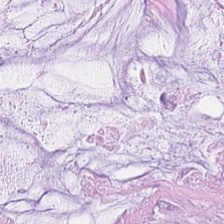H&E-stained tissue section. WSI patch.
Mucin.
